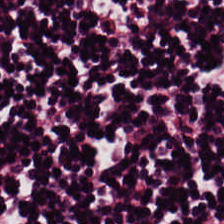Formalin-fixed paraffin-embedded section; H&E-stained tissue section.
Q: What tissue is shown?
A: It is lymphocyte aggregate.
